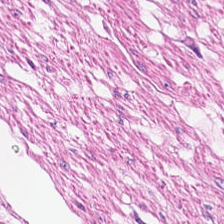Brightfield microscopy; 224×224 px tile; H&E stain.
Q: What is shown in this field?
A: It is smooth muscle.
